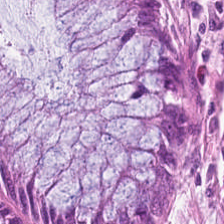Formalin-fixed paraffin-embedded section; H&E stain; 224×224 px tile. Tissue type — normal colonic mucosa.
